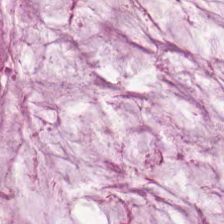Finding — mucus.
